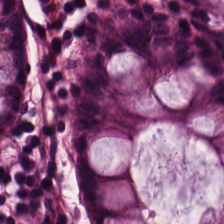Stain: hematoxylin-and-eosin stained section.
Predominant tissue: non-neoplastic colon mucosa.
